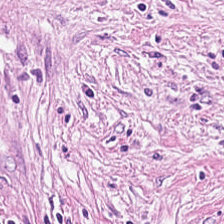H&E patch showing tumor stroma.
